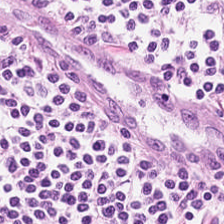H&E stain · FFPE tissue section. Impression → lymphoid infiltrate.
